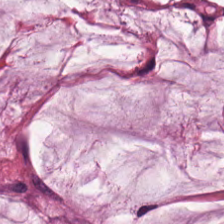Formalin-fixed paraffin-embedded section · hematoxylin and eosin. {"tissue_type": "mucin"}
